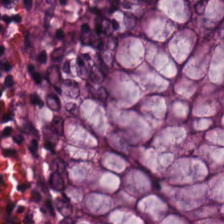H&E-stained tissue section.
Finding → normal colon mucosa.
